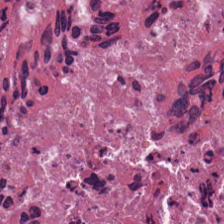H&E-stained tissue section. The predominant tissue is debris.
